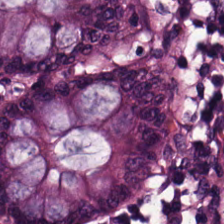Classification — normal colon mucosa.
